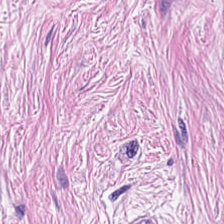Q: What tissue is shown?
A: The field shows tumor stroma.
